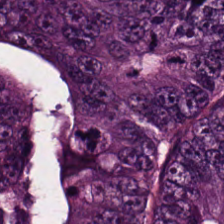{"tissue_type": "colorectal adenocarcinoma epithelium"}
